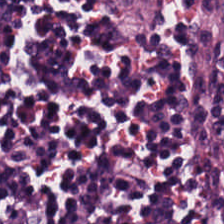Hematoxylin and eosin.
Tissue type — lymphocytic infiltrate.
